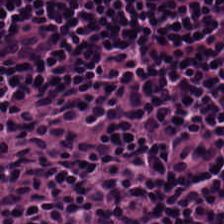H&E stain — Histology → lymphocytes.
